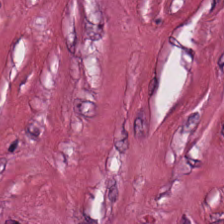The predominant tissue is desmoplastic stroma.
